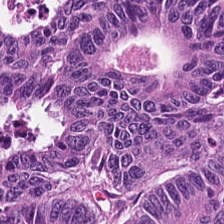H&E.
Predominantly colorectal adenocarcinoma.
